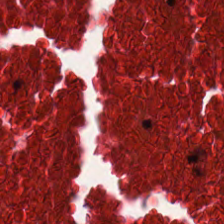0.5 µm per pixel · hematoxylin-and-eosin stained section · 224×224 px tile. Tissue class — necrotic debris.
